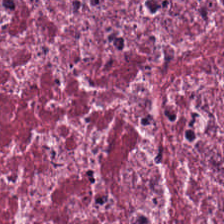Stain: hematoxylin-and-eosin stained section.
Tissue type: tumor stroma.
